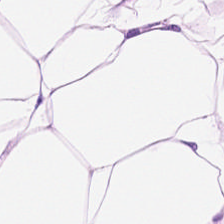H&E stain.
Tissue: adipocytes.
